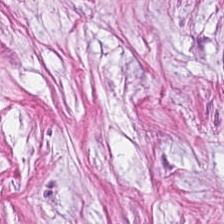Hematoxylin and eosin.
Q: Identify the tissue.
A: The field shows tumor-associated stroma.
